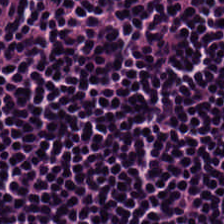Hematoxylin-and-eosin stained section. 224×224 px patch. FFPE tissue section. This field is lymphocyte aggregate.
